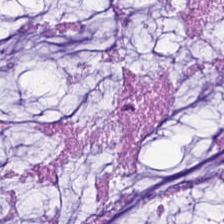Hematoxylin-and-eosin stained section. Showing mucus.
